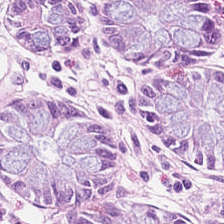Hematoxylin-and-eosin stained section.
This patch shows normal colon mucosa.
